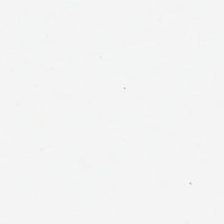224×224 px patch; H&E stain.
Empty background.
